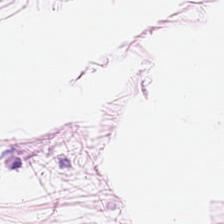H&E · brightfield.
This patch shows adipocytes.
